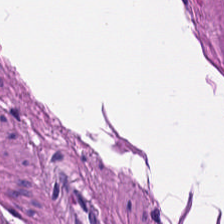H&E-stained tissue section; brightfield microscopy — Histology → smooth muscle.
